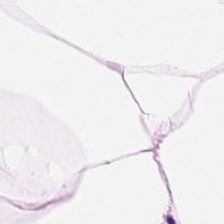Predominantly adipose tissue.
